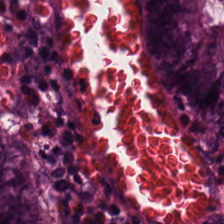Stain: H&E-stained tissue section.
Resolution: 0.5 µm per pixel.
Tissue type: normal colon mucosa.
